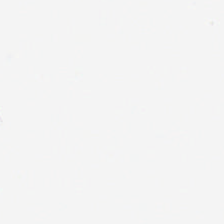Stain: H&E.
Classification: no tissue.
